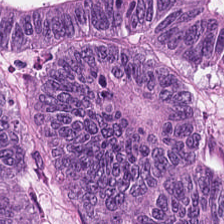The tissue is colorectal adenocarcinoma.
